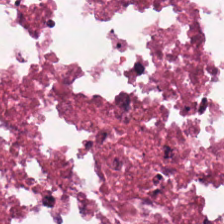Stain: H&E.
Tile size: 224×224 px patch.
Classification: debris.
